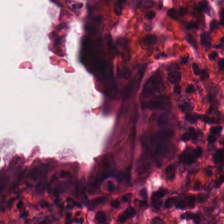H&E stain.
Tissue type: normal colon mucosa.
